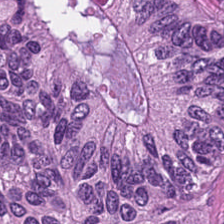WSI patch. H&E. FFPE. The tissue type is tumor epithelium.
